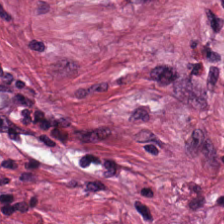Hematoxylin-and-eosin stained section — This patch shows tumor-associated stroma.
